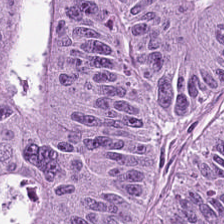0.5 microns per pixel · H&E-stained tissue section.
Tissue class — colorectal adenocarcinoma.
